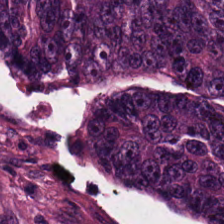Stain: H&E-stained tissue section.
Tissue class: malignant epithelium.
